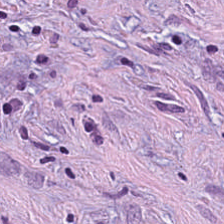Stain: hematoxylin and eosin.
Preparation: formalin-fixed paraffin-embedded section.
Classification: desmoplastic stroma.
